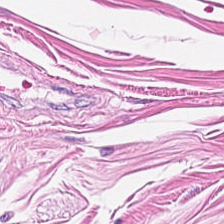H&E. This field is muscularis.
